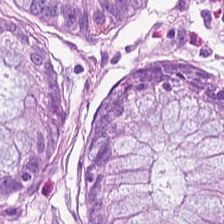Hematoxylin and eosin. Tissue: normal colon mucosa.
